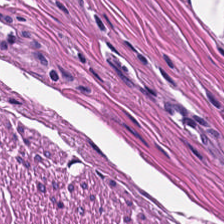224×224 px tile · H&E-stained tissue section · brightfield. Q: Identify the tissue.
A: Muscularis.
